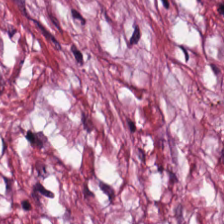H&E-stained tissue section. This patch shows tumor stroma.
